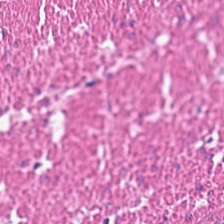Hematoxylin and eosin — Showing smooth-muscle tissue.
